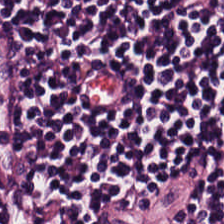Hematoxylin-and-eosin stained section · 224×224 px patch · 0.5 µm per pixel — This field is lymphocyte aggregate.
